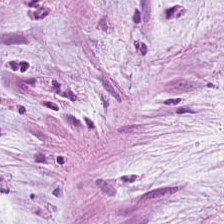H&E-stained tissue section. Whole-slide-image patch. {"tissue_type": "mucin"}
